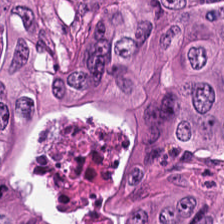0.5 microns per pixel. H&E stain. Q: What does this patch show?
A: It is malignant epithelium.
